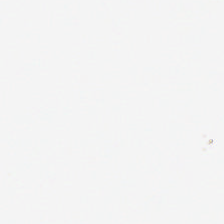Hematoxylin and eosin · FFPE.
Background (no tissue).
